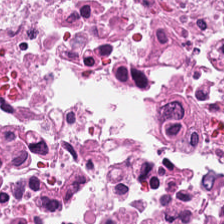H&E stain.
Histology — debris.
